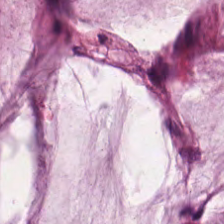Brightfield microscopy; FFPE tissue section; hematoxylin-and-eosin stained section. Tissue class: mucus.
